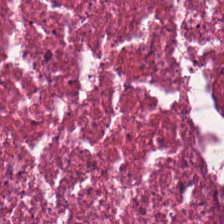Hematoxylin-and-eosin stained section. Brightfield. Showing debris.
